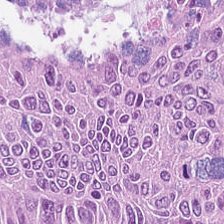H&E. This field is malignant epithelium.
